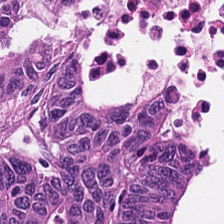H&E-stained tissue section. Brightfield microscopy.
Predominant tissue = malignant epithelium.
